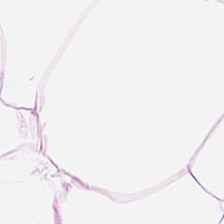Hematoxylin-and-eosin section: adipose tissue.
